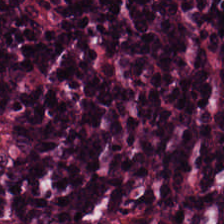Hematoxylin and eosin — The tissue is lymphocyte aggregate.
